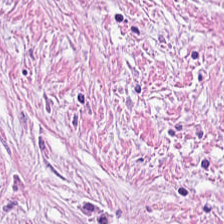H&E-stained tissue section. 20× equivalent magnification — Tumor stroma.
